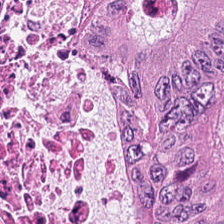The predominant tissue is colorectal adenocarcinoma epithelium.
